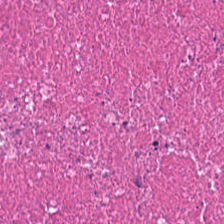H&E stain.
Impression — cellular debris.
